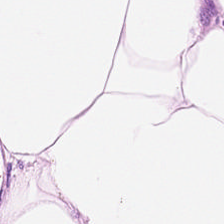H&E-stained tissue section. FFPE tissue section. 224×224 pixel tile.
The tissue class is adipose tissue.
